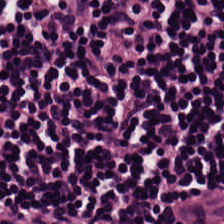Impression → lymphocytes.
